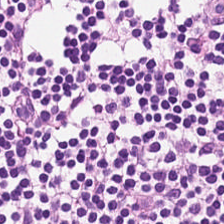This patch shows lymphoid infiltrate.
